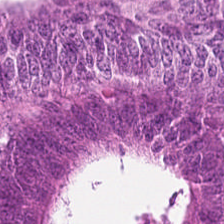224×224 px tile. Brightfield. H&E-stained tissue section.
This field is malignant epithelium.
